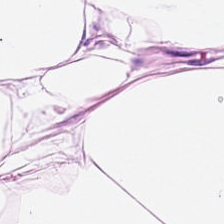H&E stain; 20× equivalent magnification; formalin-fixed paraffin-embedded section.
Tissue type — adipose.
